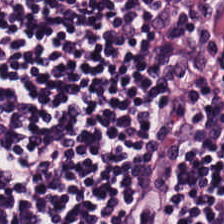H&E-stained tissue section — Predominant tissue = lymphocytes.
